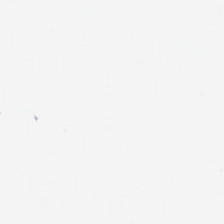H&E-stained tissue section; whole-slide-image patch. Q: What does this patch show?
A: Background.
